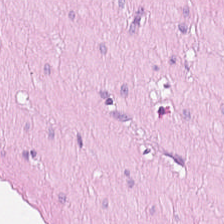Histology — smooth muscle.
